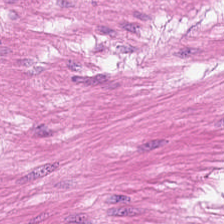Stain: H&E-stained tissue section.
Tissue class: smooth muscle.
